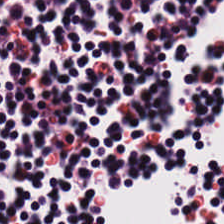H&E.
Showing lymphocytes.
